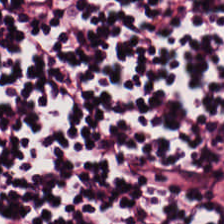Hematoxylin and eosin.
Lymphoid infiltrate.
